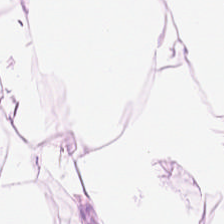WSI patch; H&E stain; 20× equivalent magnification. This field is adipose.
